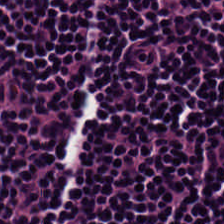This patch shows lymphoid infiltrate.
